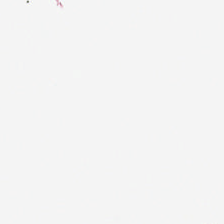Formalin-fixed paraffin-embedded section · H&E-stained tissue section.
Q: What does this patch show?
A: This is background (no tissue).
